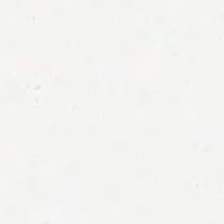This patch shows background (no tissue).
